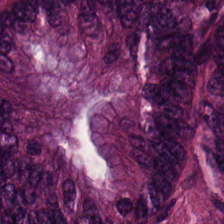Hematoxylin and eosin — Q: What tissue type is shown here?
A: The field shows adenocarcinoma.
